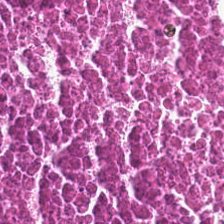Tissue type: debris.
